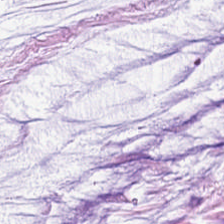Hematoxylin and eosin. {"tissue_type": "mucus"}
